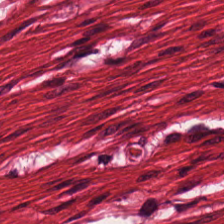H&E-stained tissue section — The predominant tissue is smooth-muscle tissue.
